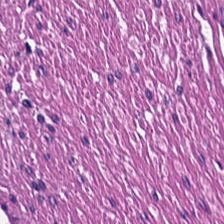Tissue type = muscularis.
